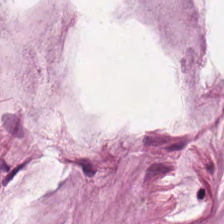H&E — extracellular mucin.
